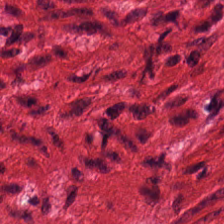224×224 pixel tile · H&E · 0.5 microns per pixel.
Predominantly muscularis.
